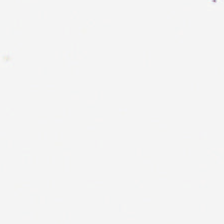Brightfield microscopy · H&E stain. Empty background.
